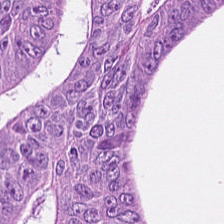Hematoxylin and eosin. 224×224 px tile. Showing colorectal adenocarcinoma epithelium.
